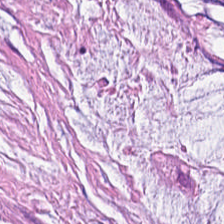H&E-stained tissue section; formalin-fixed paraffin-embedded section.
The tissue here is extracellular mucin.
